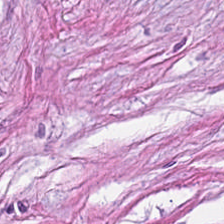H&E stain.
{"tissue_type": "tumor stroma"}
